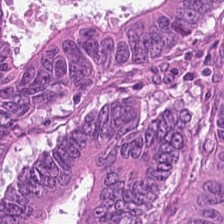Stain: H&E.
Resolution: 0.5 µm/px.
Preparation: formalin-fixed paraffin-embedded section.
Tissue: tumor epithelium.
